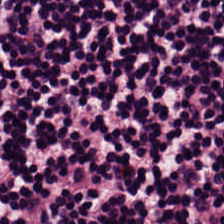H&E-stained tissue section; brightfield microscopy. This field is lymphocytes.
